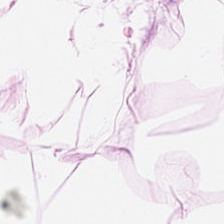H&E-stained tissue section. 224×224 px patch. This field is fat tissue.
